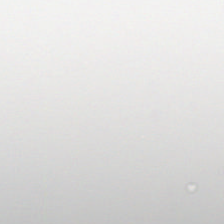224×224 px patch · H&E — Background — no tissue in this field.
